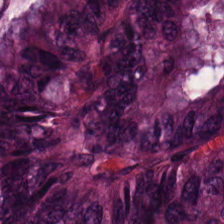H&E-stained tissue section; whole-slide-image patch.
Finding — colorectal adenocarcinoma epithelium.
